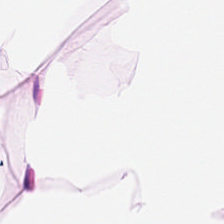The classification is adipose.
